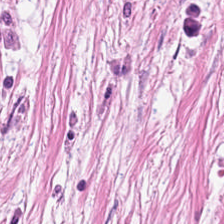Stain: hematoxylin-and-eosin stained section.
Acquisition: WSI patch.
Tissue type: desmoplastic stroma.
